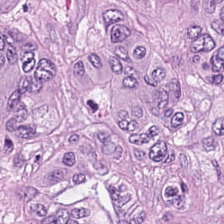Hematoxylin-and-eosin stained section.
Showing adenocarcinoma.
